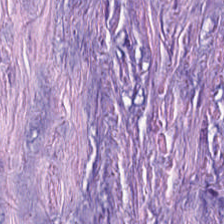FFPE · hematoxylin and eosin — Tissue class = tumor stroma.
